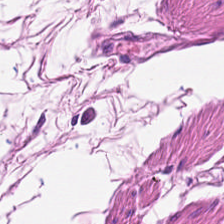H&E — muscularis.
